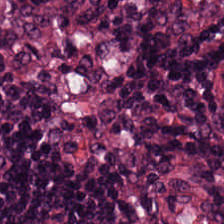Hematoxylin and eosin. Predominant tissue: lymphoid infiltrate.
